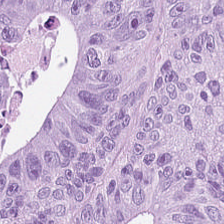The tissue here is adenocarcinoma.
